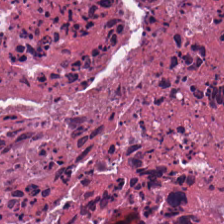Stain: hematoxylin-and-eosin stained section.
Classification: debris.
